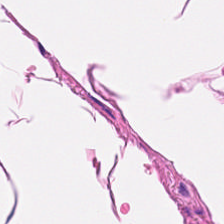H&E-stained tissue section. Q: What is shown in this field?
A: Muscularis.
